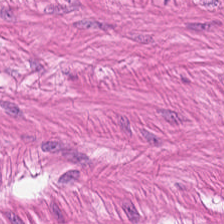Brightfield · H&E-stained tissue section.
Predominant tissue — muscularis.
